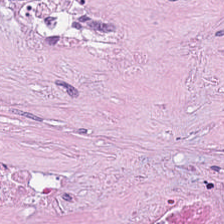Hematoxylin-and-eosin stained section · 0.5 µm per pixel.
Q: What tissue is shown?
A: It is debris.
